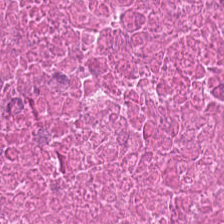H&E-stained tissue section.
This patch shows cellular debris.
